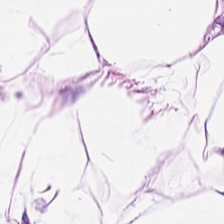Stain: hematoxylin and eosin.
Tile size: 224×224 px tile.
Preparation: FFPE tissue section.
Tissue class: adipose tissue.
